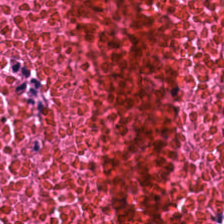Hematoxylin-and-eosin stained section — This field is necrotic debris.
